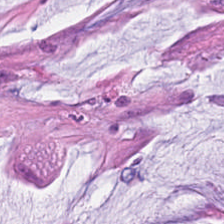H&E — The predominant tissue is mucus.
